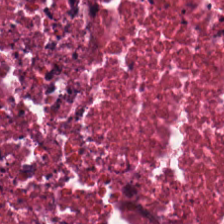H&E.
Predominantly cellular debris.
